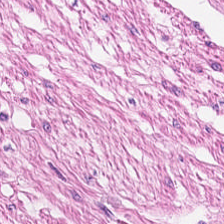Stain: H&E.
Resolution: 0.5 µm per pixel.
Acquisition: brightfield microscopy.
Tissue: smooth muscle.
